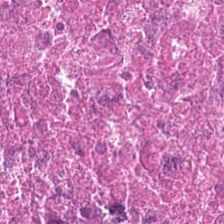The predominant tissue is cellular debris.
